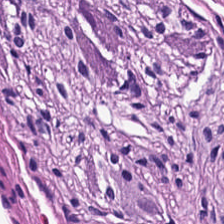Finding → muscularis.
